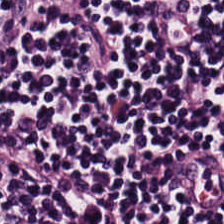Hematoxylin and eosin. Finding → lymphocytes.
